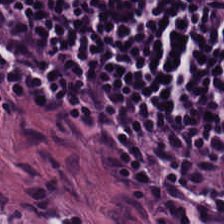H&E stain — Q: What type of tissue is this?
A: It is lymphocytes.
